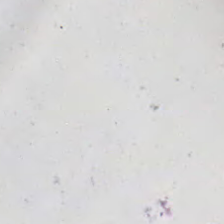Hematoxylin-and-eosin stained section.
No tissue present; background only.
